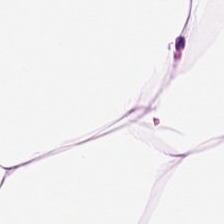Finding → fat tissue.
